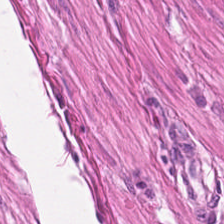0.5 µm per pixel. H&E stain. 224×224 pixel tile — Finding — muscularis.
